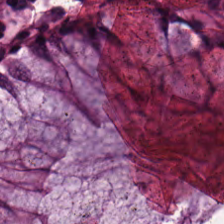Hematoxylin-and-eosin stained section — Predominantly normal colon mucosa.
